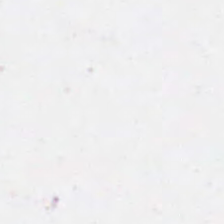FFPE tissue section. Hematoxylin and eosin.
Q: What does this patch show?
A: Background (no tissue).
